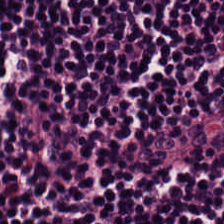H&E stain.
Q: Classify this patch.
A: The field shows lymphocytic infiltrate.
